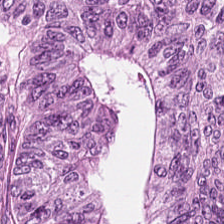H&E; FFPE tissue section.
Histology → tumor epithelium.
